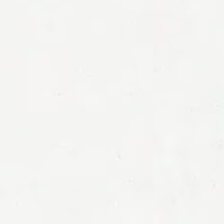0.5 µm per pixel · hematoxylin and eosin. Finding → background.
